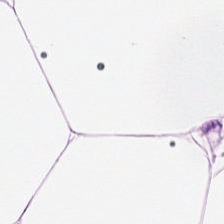H&E-stained tissue section — Predominant tissue: fat tissue.
